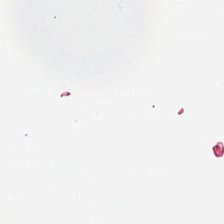Brightfield · hematoxylin and eosin.
This patch shows empty background.
